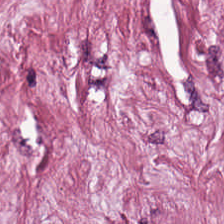0.5 microns per pixel · H&E stain.
Tissue = tumor stroma.
